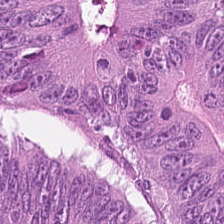0.5 µm/px. Hematoxylin-and-eosin stained section — {"tissue_type": "colorectal adenocarcinoma epithelium"}
